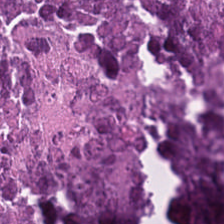Stain: hematoxylin and eosin.
Preparation: FFPE tissue section.
Tissue class: cellular debris.
